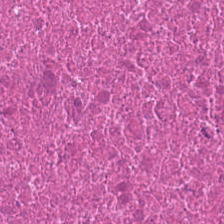Formalin-fixed paraffin-embedded section · hematoxylin-and-eosin stained section · brightfield.
Q: What tissue is shown?
A: The field shows cellular debris.
